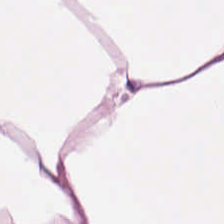Hematoxylin and eosin; 0.5 microns per pixel — Finding → fat tissue.
